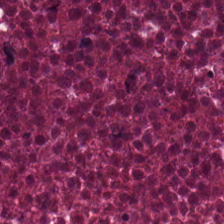Stain: hematoxylin-and-eosin stained section.
Tissue: cellular debris.
